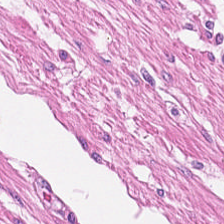Stain: H&E.
Resolution: 0.5 µm/px.
Tissue: smooth-muscle tissue.
